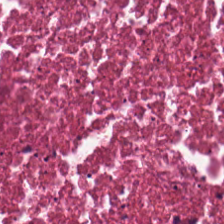Stain: H&E.
Tile size: 224×224 px patch.
Acquisition: whole-slide-image patch.
Predominant tissue: cellular debris.
